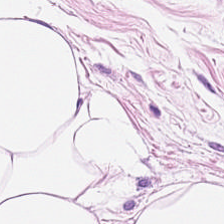Hematoxylin and eosin; 224×224 pixel tile. Classification — adipose.
